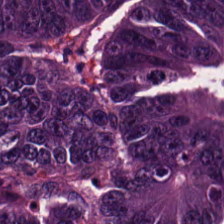Stain: H&E-stained tissue section.
Preparation: formalin-fixed paraffin-embedded section.
Classification: colorectal adenocarcinoma.
